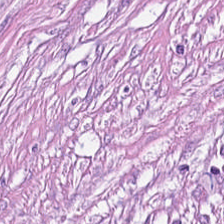H&E stain. The classification is tumor-associated stroma.
